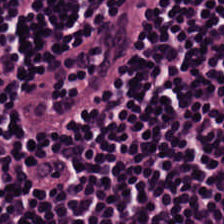Tissue type = lymphocyte aggregate.
